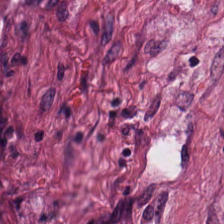Q: Identify the tissue.
A: Desmoplastic stroma.
